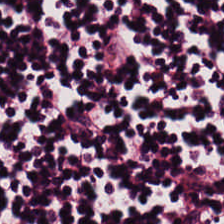Hematoxylin-and-eosin stained section; FFPE tissue section; brightfield — Impression → lymphocyte aggregate.
